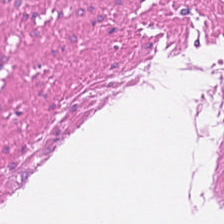0.5 µm/px; 224×224 pixel tile; H&E-stained tissue section. The tissue class is smooth-muscle tissue.
